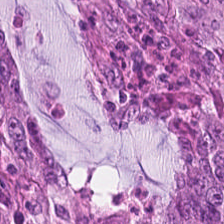H&E-stained section; the field shows colorectal adenocarcinoma epithelium.
